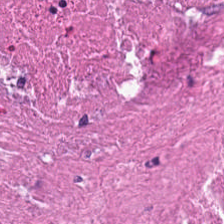Tissue: cellular debris.
